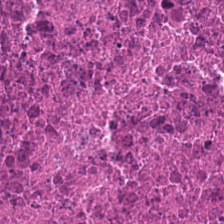Q: What type of tissue is this?
A: It is cellular debris.
